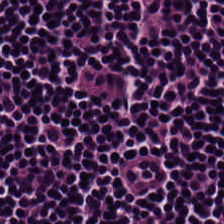Hematoxylin-and-eosin stained section · 20× equivalent magnification.
Q: What is shown here?
A: It is lymphocytes.
